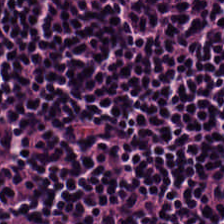H&E stain.
The predominant tissue is lymphoid infiltrate.
